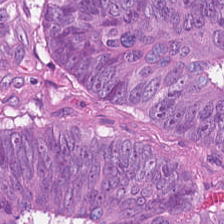H&E stain — The predominant tissue is colorectal adenocarcinoma epithelium.
